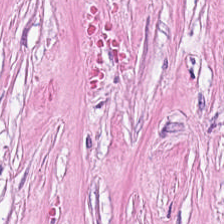Stain: hematoxylin and eosin.
Predominant tissue: desmoplastic stroma.
